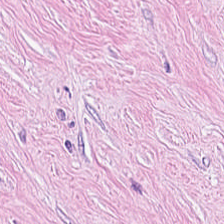Stain: H&E-stained tissue section.
Classification: cancer-associated stroma.
